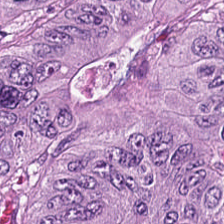Tissue type = malignant epithelium.
